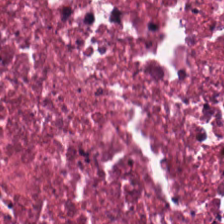Hematoxylin and eosin — Necrotic debris.
